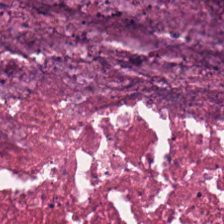FFPE; 0.5 microns per pixel; H&E.
Histology → necrotic debris.
